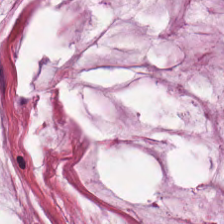Stain: H&E-stained tissue section.
Classification: mucin.
